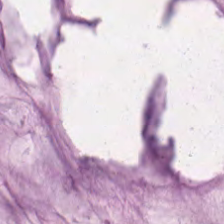H&E — mucus.
